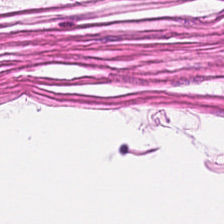Tissue type = smooth muscle.
